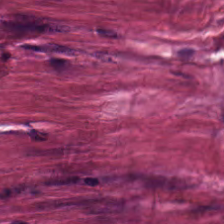H&E-stained tissue section showing tumor stroma.
